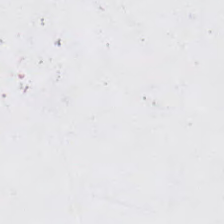H&E stain. Formalin-fixed paraffin-embedded section — Q: What does this patch show?
A: Background.
